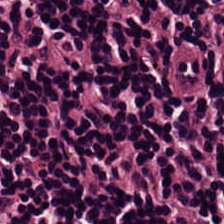H&E stain · whole-slide-image patch — {"tissue_type": "lymphocytes"}
